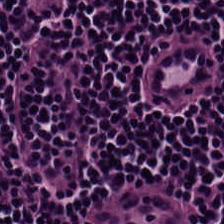H&E-stained tissue section showing lymphocytes.
